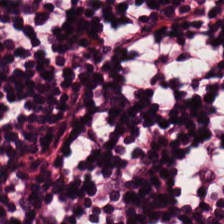Stain: hematoxylin-and-eosin stained section.
Predominant tissue: lymphoid infiltrate.
